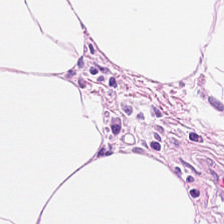Q: What type of tissue is this?
A: The field shows adipocytes.
